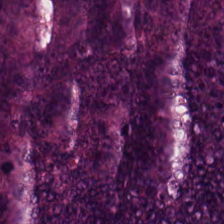Predominantly colorectal adenocarcinoma epithelium.
